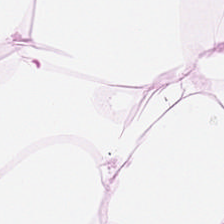Stain: hematoxylin and eosin.
Acquisition: brightfield.
Tissue class: adipocytes.
